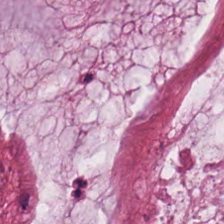Hematoxylin and eosin. Brightfield — Classification = mucin.
